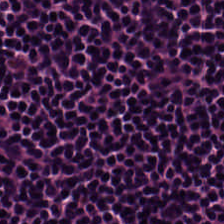Predominantly lymphoid infiltrate.
